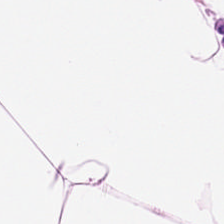H&E-stained tissue section; FFPE.
Q: What is the predominant tissue type?
A: This is adipocytes.
